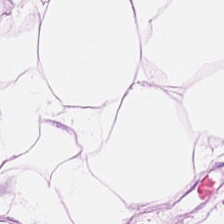H&E.
Q: What tissue type is shown here?
A: This is adipose.
